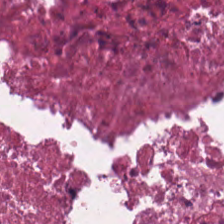Q: What is shown here?
A: This is debris.
